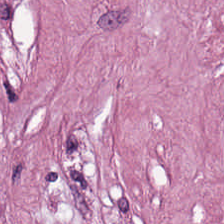0.5 µm/px · FFPE · H&E. Classification — cancer-associated stroma.
